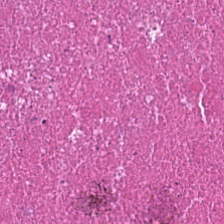Hematoxylin-and-eosin section: necrotic debris.
